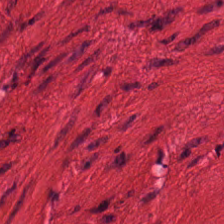H&E stain — Showing smooth-muscle tissue.
